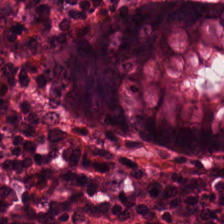FFPE tissue section · H&E · 0.5 µm per pixel.
The predominant tissue is normal colonic mucosa.
